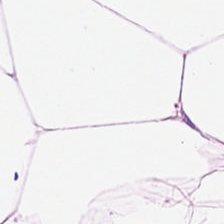Hematoxylin-and-eosin stained section; WSI patch; formalin-fixed paraffin-embedded section.
Q: Classify this patch.
A: Adipose.
